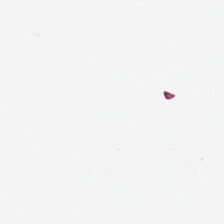Hematoxylin and eosin.
The field content is background.
